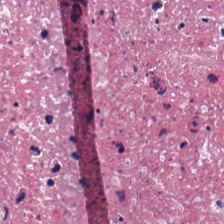20× equivalent magnification · hematoxylin-and-eosin stained section · brightfield microscopy.
Tissue class: necrotic debris.
